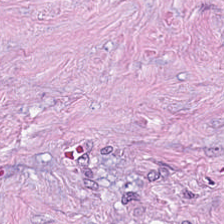H&E. Tissue type = cancer-associated stroma.
